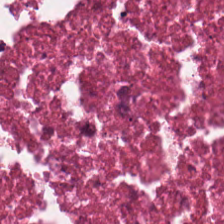Q: What does this patch show?
A: Debris.
